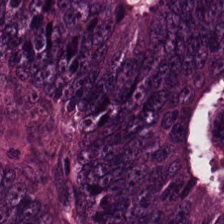H&E stain — Predominant tissue — colorectal adenocarcinoma epithelium.
